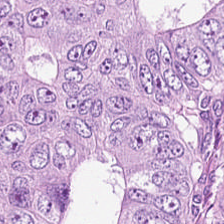Hematoxylin-and-eosin stained section — Predominantly malignant epithelium.
